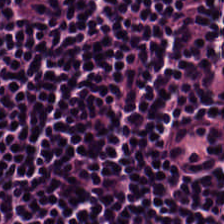Finding → lymphocyte aggregate.
